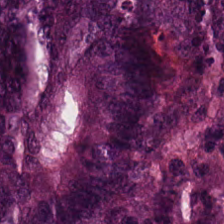H&E stain. This field is adenocarcinoma.
